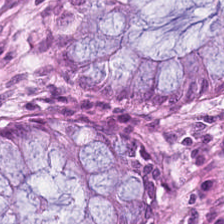0.5 microns per pixel. H&E.
{"tissue_type": "normal colonic mucosa"}
